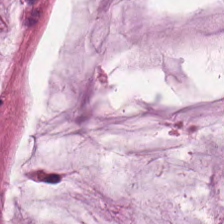{"tissue_type": "mucin"}
